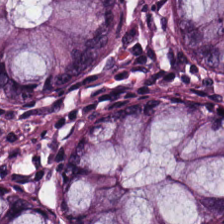Hematoxylin-and-eosin stained section.
Q: What is shown here?
A: It is benign colonic mucosa.
